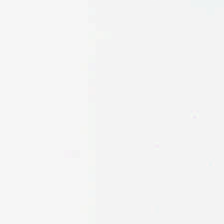H&E — Impression → no tissue.
